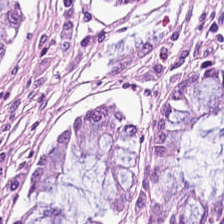Brightfield; 0.5 µm/px; hematoxylin-and-eosin stained section — Q: Classify this patch.
A: It is non-neoplastic colon mucosa.
